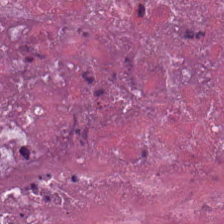224×224 px tile; hematoxylin and eosin. Q: What does this patch show?
A: The field shows necrotic debris.
